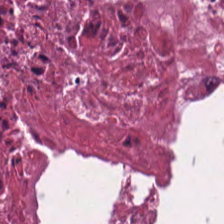Hematoxylin-and-eosin stained section.
Q: Identify the tissue.
A: The field shows debris.
